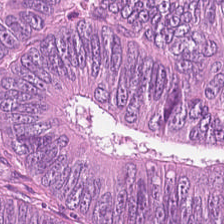Tissue type: colorectal adenocarcinoma.
